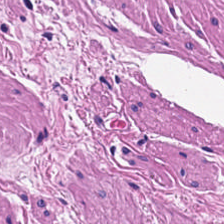0.5 µm per pixel · brightfield microscopy · H&E — This patch shows smooth-muscle tissue.
